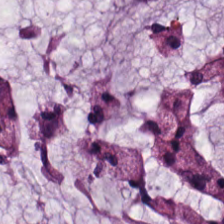Classification — extracellular mucin.
